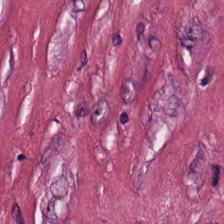Hematoxylin-and-eosin stained section. The classification is tumor stroma.
